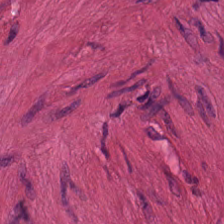Stain: H&E stain.
Acquisition: brightfield microscopy.
Resolution: 0.5 microns per pixel.
Tissue: smooth muscle.
